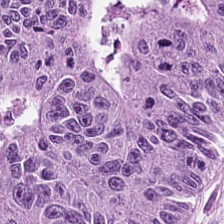H&E stain. Q: Identify the tissue.
A: Malignant epithelium.
